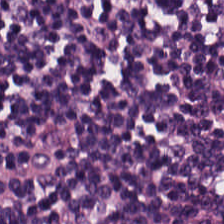224×224 px patch · hematoxylin-and-eosin stained section — The predominant tissue is lymphocyte aggregate.
